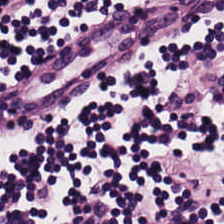H&E stain; brightfield; FFPE — This patch shows lymphocytes.
